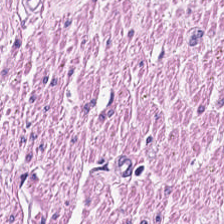H&E. 0.5 microns per pixel. This field is smooth-muscle tissue.
